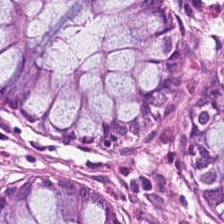Hematoxylin and eosin. Predominantly normal colon mucosa.
